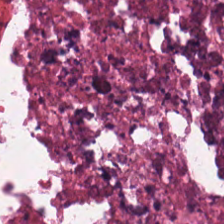Hematoxylin-and-eosin stained section.
Tissue class — cellular debris.
